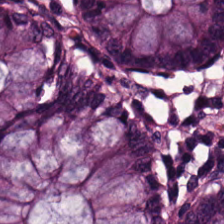H&E; 0.5 µm per pixel; brightfield. The tissue class is non-neoplastic colon mucosa.
